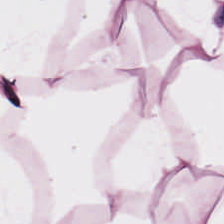224×224 px patch. Hematoxylin and eosin. Predominantly fat tissue.
